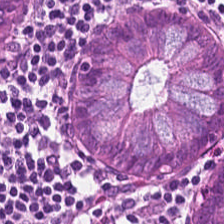Tissue = non-neoplastic colon mucosa.
